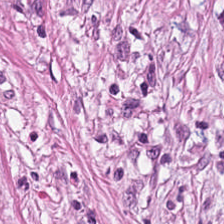Hematoxylin and eosin; FFPE.
Impression → desmoplastic stroma.
